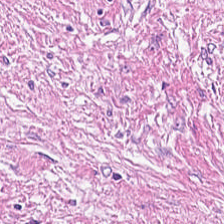224×224 pixel tile; hematoxylin-and-eosin stained section. This field is tumor-associated stroma.
